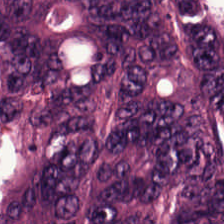H&E stain — Q: Identify the tissue.
A: This is tumor epithelium.
